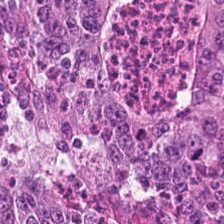Stain: H&E.
Tissue class: malignant epithelium.
